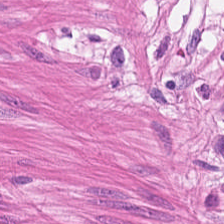H&E.
Histology → smooth-muscle tissue.
